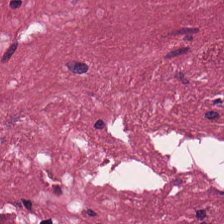224×224 px tile. Hematoxylin and eosin. This patch shows tumor stroma.
